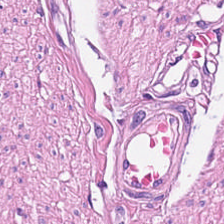Hematoxylin and eosin · 0.5 microns per pixel. Finding → smooth-muscle tissue.
